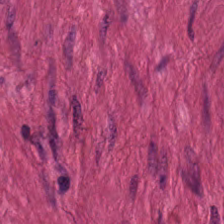224×224 px patch; 0.5 µm/px; H&E-stained tissue section. Classification: smooth muscle.
